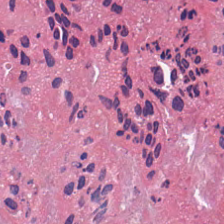H&E stain — Q: Classify this patch.
A: Debris.
